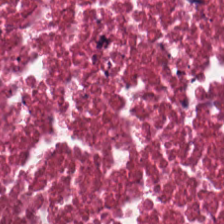H&E-stained tissue section — This patch shows necrotic debris.
